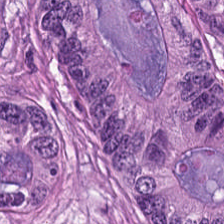Tissue class = colorectal adenocarcinoma epithelium.
